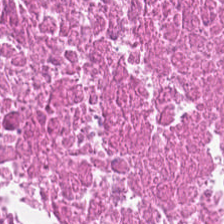Brightfield microscopy. Hematoxylin and eosin. FFPE — Q: What type of tissue is this?
A: The field shows necrotic debris.
